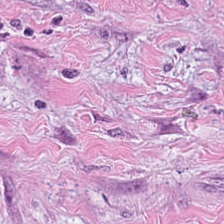Brightfield · 0.5 µm/px · H&E.
The predominant tissue is tumor stroma.
